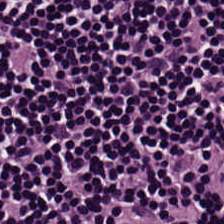Hematoxylin and eosin.
Classification — lymphocytes.
